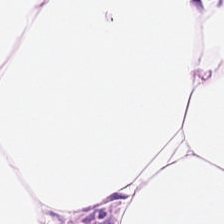WSI patch; hematoxylin-and-eosin stained section — Showing adipocytes.
